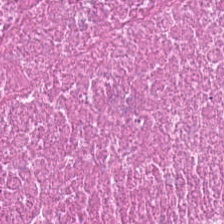0.5 µm/px; hematoxylin-and-eosin stained section. Classification = debris.
